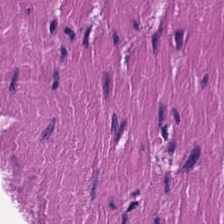20× equivalent magnification. H&E-stained tissue section. FFPE tissue section — Predominantly smooth muscle.
